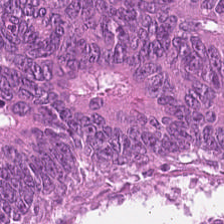H&E-stained section; the field shows colorectal adenocarcinoma epithelium.
